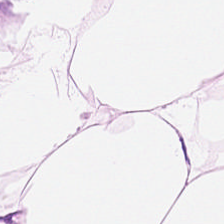Predominant tissue: adipose.
